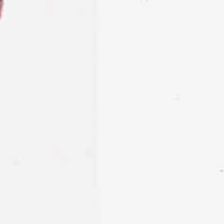Hematoxylin-and-eosin stained section.
Q: What is shown here?
A: Empty background.
